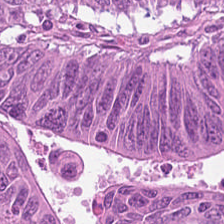H&E stain.
Q: What is shown in this field?
A: Tumor epithelium.
